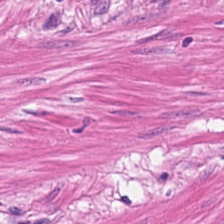Hematoxylin-and-eosin stained section; 20× equivalent magnification; FFPE tissue section. Q: What tissue type is shown here?
A: The field shows smooth-muscle tissue.
